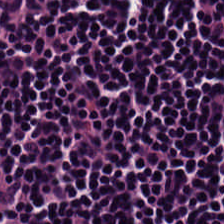224×224 px patch · H&E stain · FFPE tissue section.
Predominantly lymphocytes.
